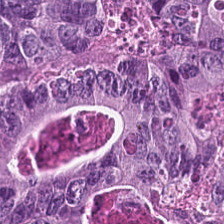H&E stain — Tissue: tumor epithelium.
